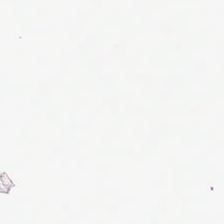Whole-slide-image patch · hematoxylin and eosin.
This patch shows empty background.
